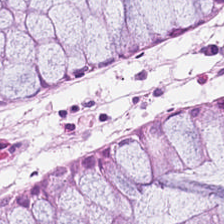H&E; WSI patch — Tissue type: normal colon mucosa.
